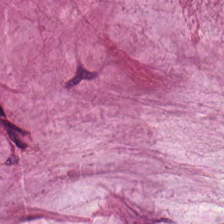H&E; 224×224 pixel tile — The classification is mucus.
